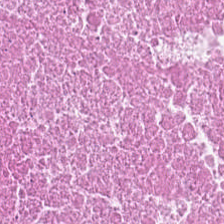Hematoxylin-and-eosin stained section; 224×224 pixel tile. Q: What does this patch show?
A: It is necrotic debris.
